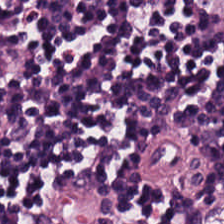H&E-stained tissue section.
Finding → lymphocytes.
